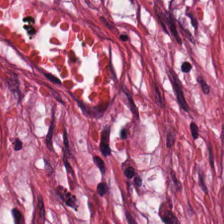Hematoxylin-and-eosin stained section.
Tumor-associated stroma.
